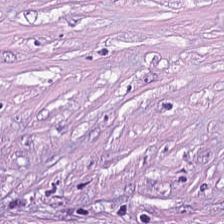FFPE tissue section · brightfield · H&E stain — The tissue is desmoplastic stroma.
